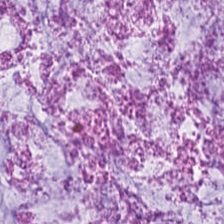Hematoxylin-and-eosin stained section. Mucin.
